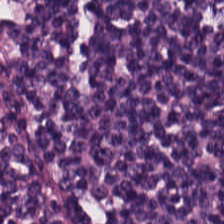H&E-stained tissue section.
This patch shows lymphocytes.
